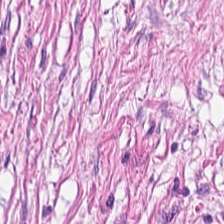Desmoplastic stroma.
